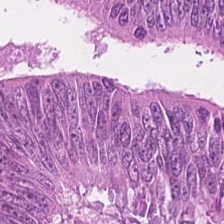H&E stain — This patch shows colorectal adenocarcinoma.
